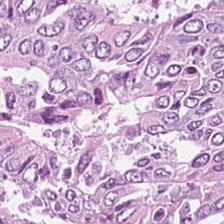H&E-stained tissue section showing colorectal adenocarcinoma epithelium.
